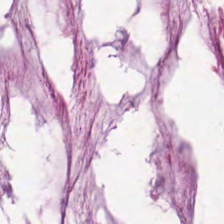Whole-slide-image patch · hematoxylin-and-eosin stained section. Showing mucus.
